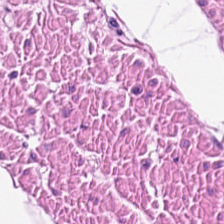H&E patch showing smooth muscle.
